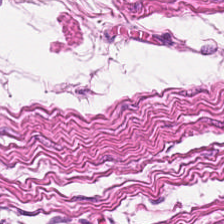Hematoxylin-and-eosin stained section · FFPE tissue section — Finding — smooth muscle.
